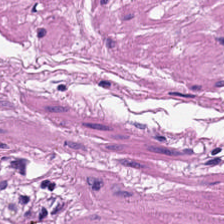This field is smooth muscle.
